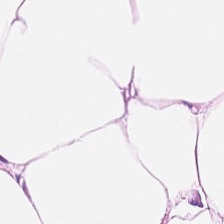Stain: hematoxylin and eosin.
Tissue: adipocytes.
